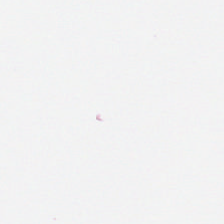H&E — Field content — background (no tissue).
